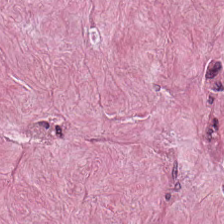H&E-stained tissue section — Cancer-associated stroma.
